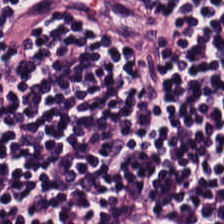H&E. This patch shows lymphocytes.
